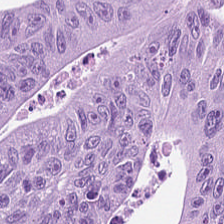The tissue class is colorectal adenocarcinoma epithelium.
